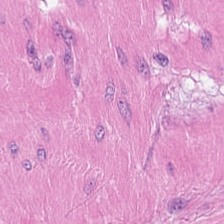The classification is muscularis.
